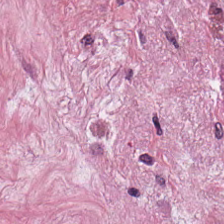Brightfield microscopy · 224×224 pixel tile · hematoxylin and eosin. Impression — tumor stroma.
